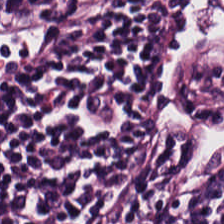The tissue here is lymphocytes.
